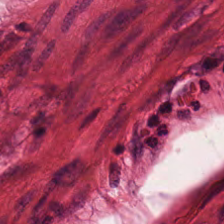Stain: hematoxylin-and-eosin stained section.
Tissue class: smooth muscle.
